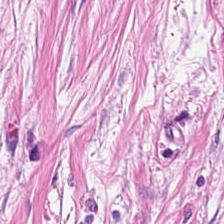{"tissue_type": "tumor stroma"}
